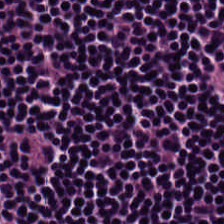Stain: H&E.
Classification: lymphoid infiltrate.
